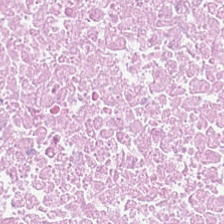H&E-stained tissue section.
Classification = cellular debris.
